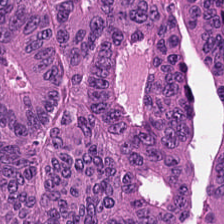H&E stain. WSI patch. FFPE. This field is adenocarcinoma.
